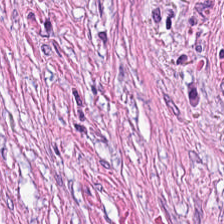Q: What does this patch show?
A: The field shows cancer-associated stroma.
